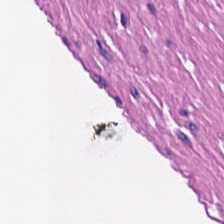224×224 px patch · H&E-stained tissue section. The predominant tissue is smooth muscle.
